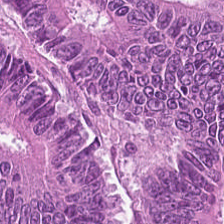Colorectal adenocarcinoma.
